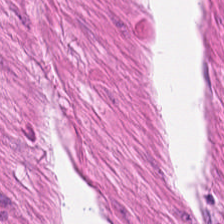H&E.
Q: What tissue type is shown here?
A: It is smooth muscle.
